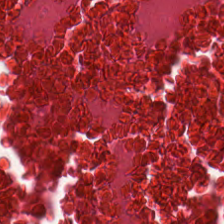H&E; brightfield — Q: What type of tissue is this?
A: This is cellular debris.
